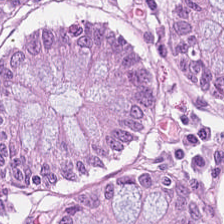H&E. {"tissue_type": "normal colonic mucosa"}
